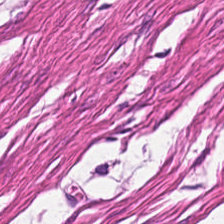Hematoxylin-and-eosin stained section. FFPE tissue section.
Finding — smooth-muscle tissue.
